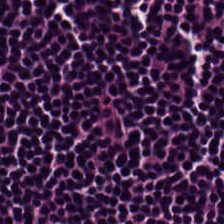0.5 microns per pixel. 224×224 pixel tile. H&E stain. The tissue here is lymphocyte aggregate.
